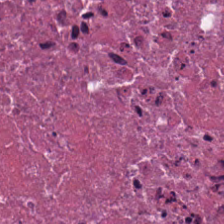Stain: H&E.
Classification: debris.
